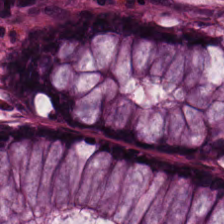Stain: hematoxylin-and-eosin stained section.
Preparation: formalin-fixed paraffin-embedded section.
Acquisition: brightfield microscopy.
Tissue type: non-neoplastic colon mucosa.
